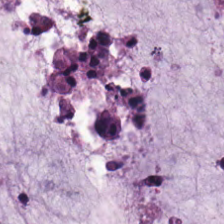Hematoxylin-and-eosin stained section.
The predominant tissue is extracellular mucin.
